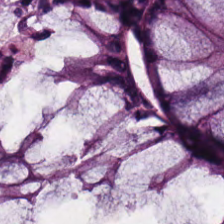Stain: H&E.
Tissue type: benign colonic mucosa.
